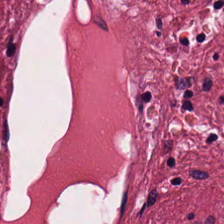Hematoxylin-and-eosin stained section — Showing cancer-associated stroma.
